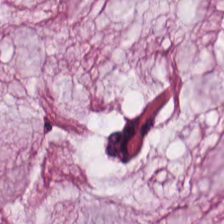H&E. Brightfield microscopy — Tissue — mucus.
